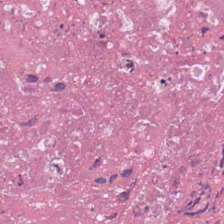H&E · brightfield microscopy — Q: What is shown in this field?
A: It is debris.
